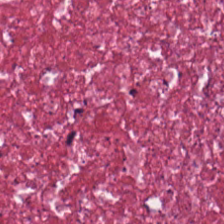H&E — Showing cancer-associated stroma.
